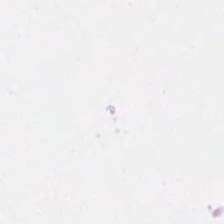Hematoxylin and eosin. 0.5 µm per pixel.
This field is background (no tissue).
